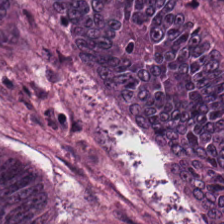Q: What is shown in this field?
A: This is adenocarcinoma.
